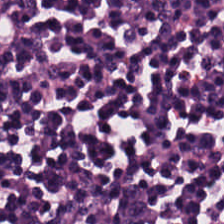H&E stain — Q: What does this patch show?
A: Lymphocytic infiltrate.
